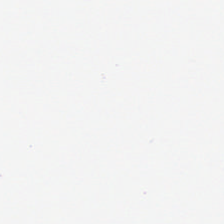0.5 µm/px · hematoxylin and eosin.
Finding → no tissue.
